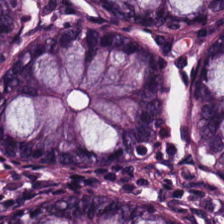Hematoxylin and eosin. Normal colon mucosa.
